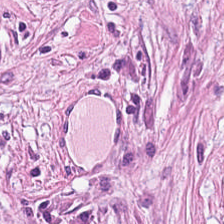H&E-stained tissue section. FFPE. 0.5 µm per pixel.
Showing tumor stroma.
